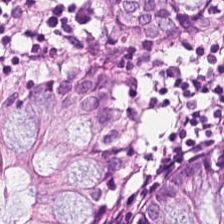Hematoxylin-and-eosin stained section — The predominant tissue is normal colon mucosa.
